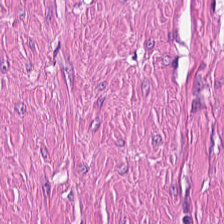H&E-stained tissue section · FFPE tissue section. Tissue class — smooth muscle.
